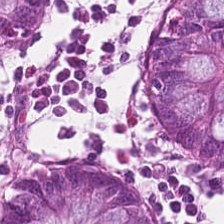Brightfield; hematoxylin and eosin; formalin-fixed paraffin-embedded section — The tissue here is normal colon mucosa.
